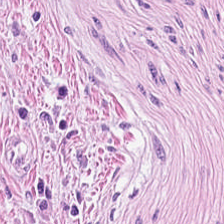Stain: H&E stain.
Tissue class: tumor stroma.
